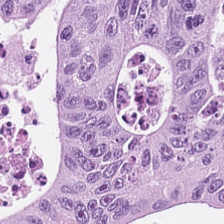Whole-slide-image patch. Hematoxylin-and-eosin stained section. The predominant tissue is colorectal adenocarcinoma epithelium.
